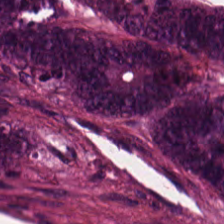This patch shows adenocarcinoma.
